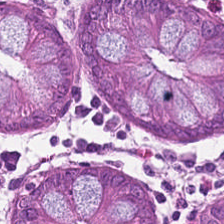0.5 µm/px. H&E stain — This field is non-neoplastic colon mucosa.
